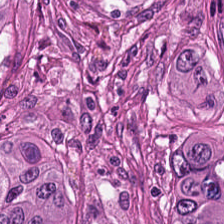H&E — Showing colorectal adenocarcinoma epithelium.
